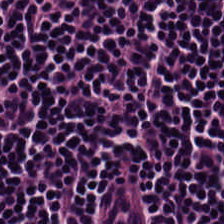FFPE; hematoxylin and eosin; 0.5 microns per pixel. This patch shows lymphocyte aggregate.
